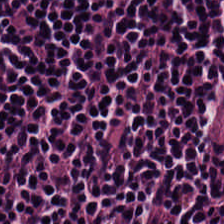WSI patch; H&E; formalin-fixed paraffin-embedded section — Lymphocytic infiltrate.
